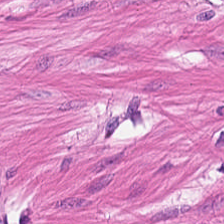The predominant tissue is smooth muscle.
